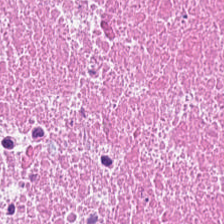H&E-stained tissue section. 0.5 µm/px.
The tissue here is debris.
